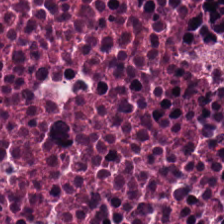H&E-stained tissue section. Whole-slide-image patch.
Debris.
